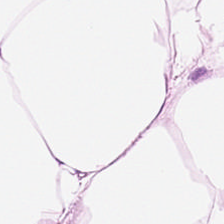H&E stain.
Predominantly fat tissue.
